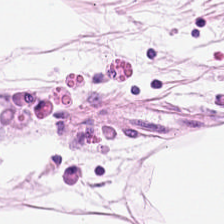The tissue here is adipocytes.
